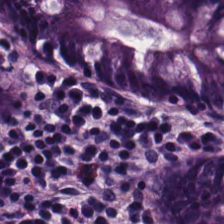H&E-stained tissue section.
Classification — normal colonic mucosa.
